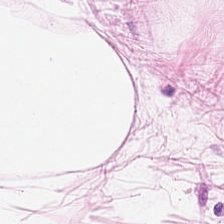Brightfield microscopy. Hematoxylin and eosin.
The tissue type is fat tissue.
